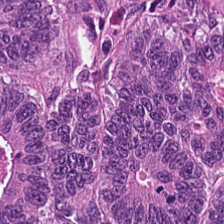H&E-stained tissue section · 0.5 microns per pixel · 224×224 px tile — Classification — adenocarcinoma.
